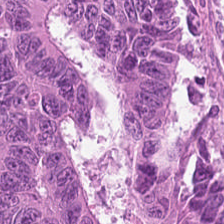224×224 px patch. Hematoxylin-and-eosin stained section. Showing adenocarcinoma.
